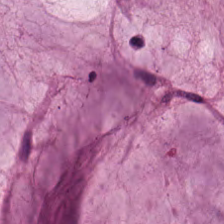Hematoxylin and eosin. Tissue type: extracellular mucin.
